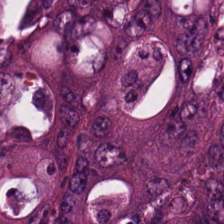Q: What is the predominant tissue type?
A: Colorectal adenocarcinoma.
